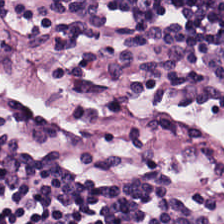This patch shows lymphocyte aggregate.
